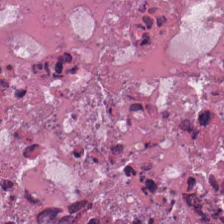Hematoxylin and eosin — Predominant tissue: necrotic debris.
